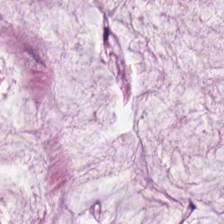Brightfield; 20× equivalent magnification; hematoxylin-and-eosin stained section — The tissue here is mucin.
